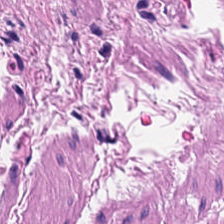H&E; whole-slide-image patch.
Histology → smooth-muscle tissue.
